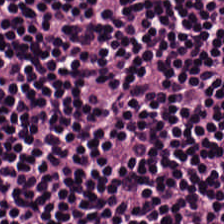This patch shows lymphoid infiltrate.
